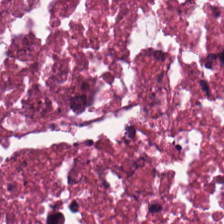Stain: H&E stain.
Predominant tissue: debris.
